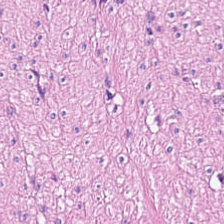H&E-stained tissue section. The tissue here is smooth muscle.
